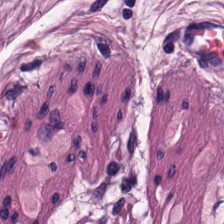Stain: hematoxylin-and-eosin stained section.
Tile size: 224×224 px patch.
Classification: muscularis.
